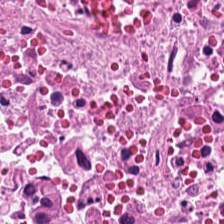H&E stain. This patch shows cellular debris.
